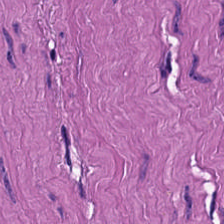Hematoxylin and eosin. WSI patch. 0.5 µm/px.
Finding — muscularis.
